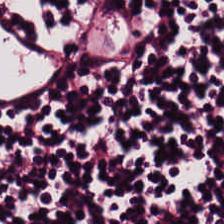H&E-stained tissue section — Q: What is the predominant tissue type?
A: It is lymphocytes.
